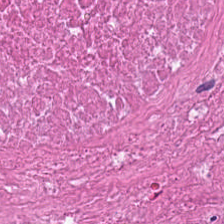Hematoxylin and eosin · brightfield microscopy · formalin-fixed paraffin-embedded section. This patch shows debris.
